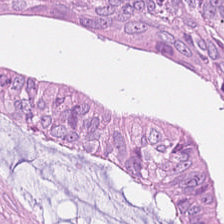Stain: hematoxylin-and-eosin stained section.
Tissue class: colorectal adenocarcinoma.
